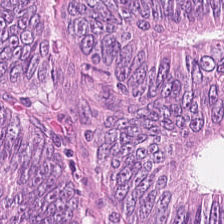H&E-stained tissue section — Q: What tissue is shown?
A: This is adenocarcinoma.
